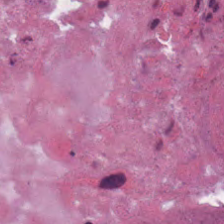H&E-stained tissue section.
The predominant tissue is necrotic debris.
